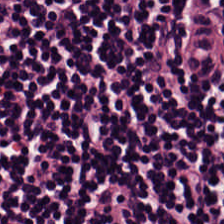H&E-stained tissue section. 224×224 pixel tile.
The predominant tissue is lymphocytes.
